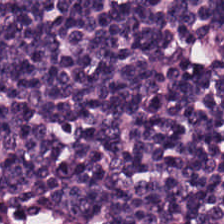Whole-slide-image patch · hematoxylin-and-eosin stained section. The tissue class is lymphoid infiltrate.
